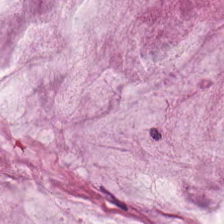Hematoxylin and eosin · 224×224 pixel tile · brightfield microscopy. This field is mucin.
